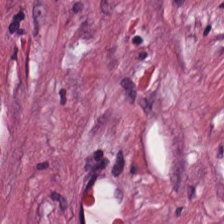FFPE. H&E. Tumor stroma.
